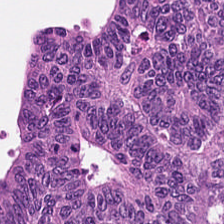H&E. Formalin-fixed paraffin-embedded section. Colorectal adenocarcinoma epithelium.
